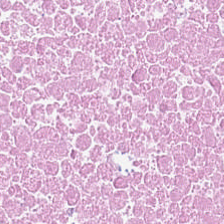H&E stain. The predominant tissue is necrotic debris.
